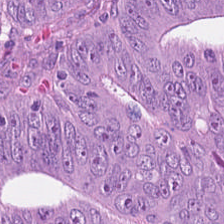0.5 µm/px; hematoxylin and eosin.
Q: Classify this patch.
A: The field shows colorectal adenocarcinoma.
